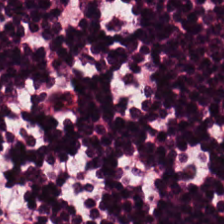Tissue class — lymphoid infiltrate.
